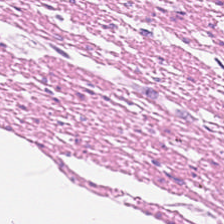Hematoxylin and eosin.
Q: What does this patch show?
A: It is muscularis.
